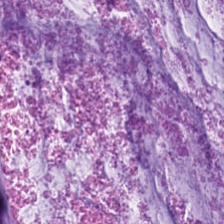H&E-stained tissue section — Predominant tissue: mucus.
